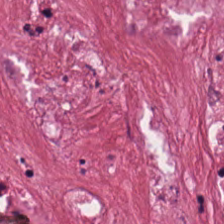The tissue type is tumor-associated stroma.
